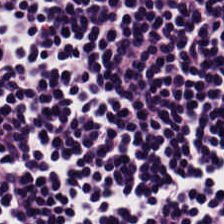Histology — lymphocyte aggregate.
